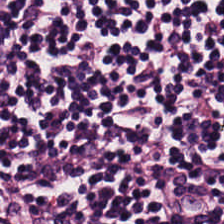224×224 pixel tile; hematoxylin and eosin — Q: Classify this patch.
A: The field shows lymphocytes.
